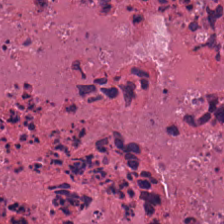Hematoxylin-and-eosin stained section.
Q: Classify this patch.
A: It is debris.
